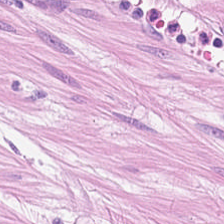Formalin-fixed paraffin-embedded section. Hematoxylin and eosin — Showing smooth-muscle tissue.
